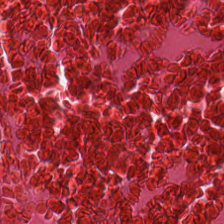Stain: H&E stain.
Preparation: FFPE tissue section.
Resolution: 20× equivalent magnification.
Predominant tissue: necrotic debris.
